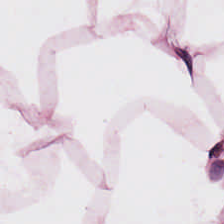Stain: hematoxylin and eosin.
Tissue: adipocytes.
